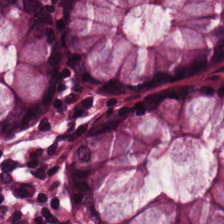0.5 µm/px; FFPE tissue section; H&E stain.
Q: What type of tissue is this?
A: The field shows benign colonic mucosa.
